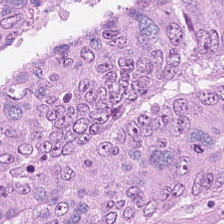H&E-stained tissue section — Finding — colorectal adenocarcinoma epithelium.
